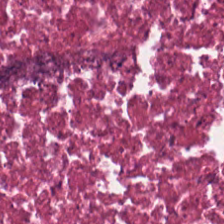Q: What is shown in this field?
A: The field shows debris.
